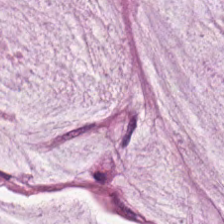Stain: H&E-stained tissue section.
Acquisition: brightfield microscopy.
Resolution: 0.5 µm per pixel.
Predominant tissue: mucus.
